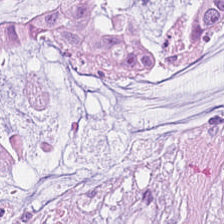Tissue class: mucin.
